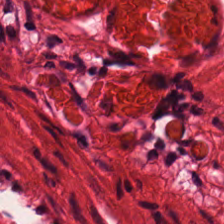Tissue class: smooth muscle.
